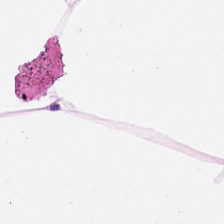This patch shows fat tissue.
